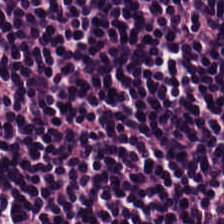Stain: H&E.
Tissue type: lymphoid infiltrate.
